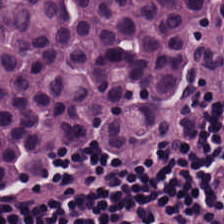H&E-stained tissue section; FFPE — Tissue class: lymphocytic infiltrate.
